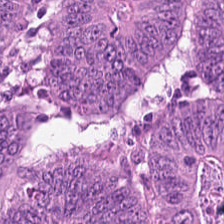Formalin-fixed paraffin-embedded section. H&E-stained tissue section — {"tissue_type": "adenocarcinoma"}
